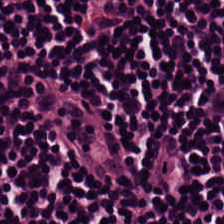H&E stain · formalin-fixed paraffin-embedded section — Classification = lymphoid infiltrate.
